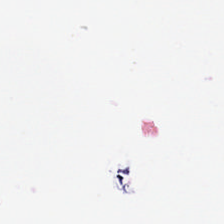H&E-stained tissue section.
Histology — background (no tissue).
